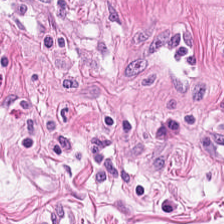224×224 px patch · hematoxylin and eosin.
Q: Identify the tissue.
A: The field shows muscularis.
